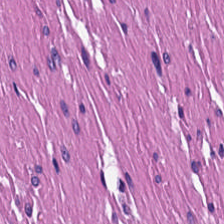H&E — Impression — smooth muscle.
